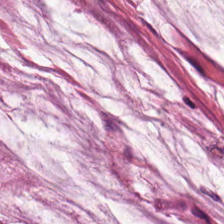Hematoxylin-and-eosin stained section — Q: What is shown in this field?
A: Extracellular mucin.
